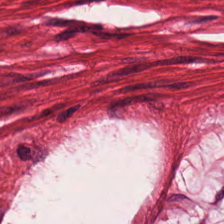H&E stain · 0.5 µm/px · FFPE.
Q: What tissue is shown?
A: This is smooth-muscle tissue.
